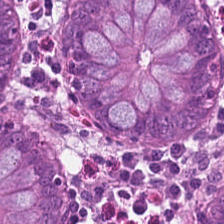0.5 µm per pixel · hematoxylin and eosin. The tissue here is normal colonic mucosa.
